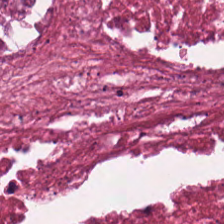H&E — Q: What type of tissue is this?
A: The field shows necrotic debris.
